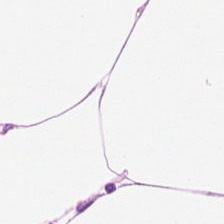H&E. Q: What tissue type is shown here?
A: It is adipose tissue.
